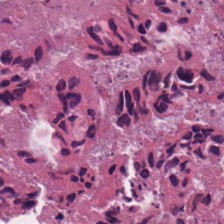H&E stain.
Q: What tissue type is shown here?
A: This is necrotic debris.
